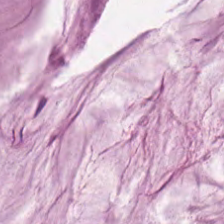Hematoxylin and eosin.
The predominant tissue is extracellular mucin.
